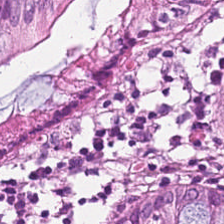Predominantly non-neoplastic colon mucosa.
